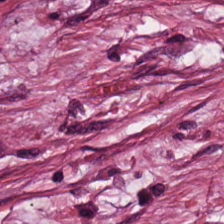Hematoxylin-and-eosin stained section · FFPE tissue section — Tissue class = desmoplastic stroma.
